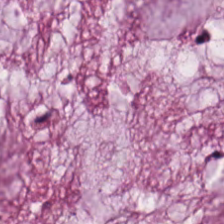Formalin-fixed paraffin-embedded section; hematoxylin-and-eosin stained section. Q: Classify this patch.
A: This is mucin.
